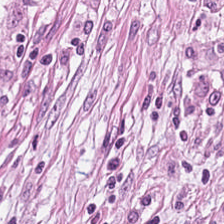FFPE. H&E stain — This patch shows tumor-associated stroma.
